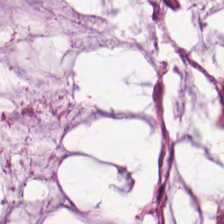The tissue class is mucin.
